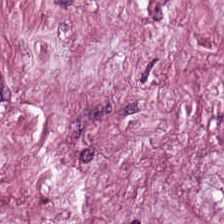Formalin-fixed paraffin-embedded section · hematoxylin-and-eosin stained section. Tumor-associated stroma.
